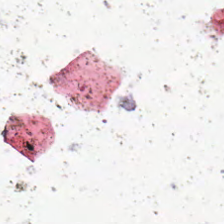H&E stain; 224×224 px tile.
Field content = no tissue.
